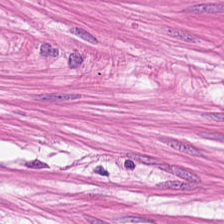Hematoxylin and eosin. The predominant tissue is smooth muscle.
